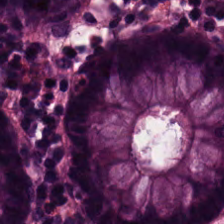Hematoxylin and eosin. FFPE. The predominant tissue is non-neoplastic colon mucosa.
